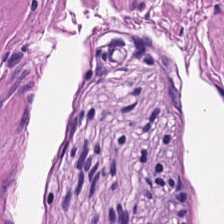Predominantly muscularis.
